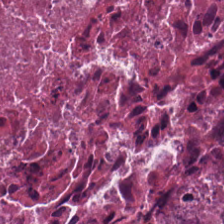Hematoxylin and eosin.
Tissue — cellular debris.
